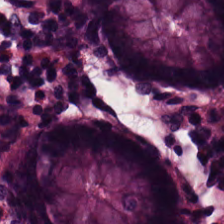Whole-slide-image patch; hematoxylin and eosin — Q: What type of tissue is this?
A: It is non-neoplastic colon mucosa.
